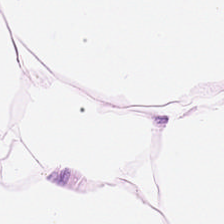Q: What is shown here?
A: It is adipose tissue.
